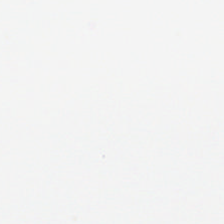H&E. Histology → background.
